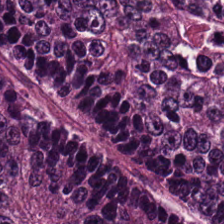H&E; 0.5 µm/px — Q: Classify this patch.
A: It is colorectal adenocarcinoma.
